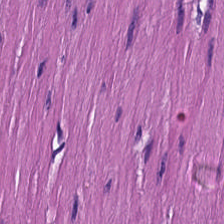Hematoxylin and eosin · whole-slide-image patch.
Impression — smooth-muscle tissue.
